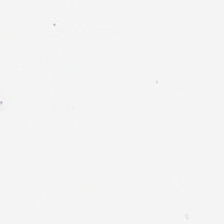H&E. This field is background (no tissue).
